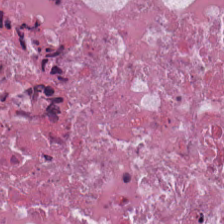H&E-stained tissue section; FFPE; WSI patch — Q: What is shown in this field?
A: Cellular debris.
